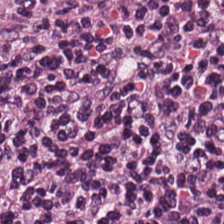H&E; whole-slide-image patch — Tissue class = lymphocytic infiltrate.
